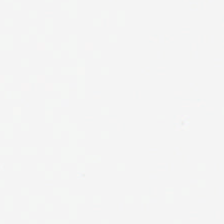H&E stain.
Empty field — background (no tissue).
